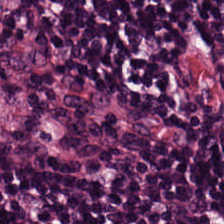H&E; formalin-fixed paraffin-embedded section.
This patch shows lymphocytes.
